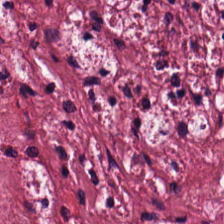Hematoxylin and eosin. Tissue type: tumor stroma.
